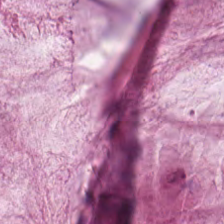20× equivalent magnification; H&E stain. Q: Identify the tissue.
A: It is extracellular mucin.
